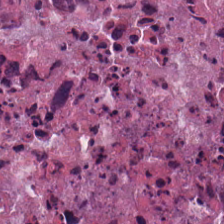H&E.
Histology — necrotic debris.
